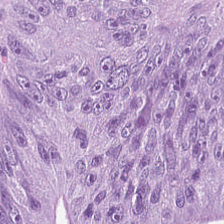Hematoxylin and eosin.
Classification — malignant epithelium.
